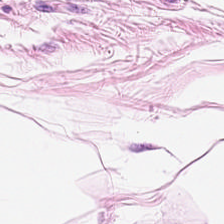FFPE tissue section; H&E. Tissue class = fat tissue.
